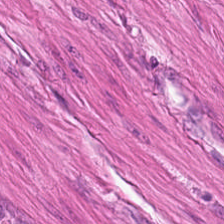Hematoxylin and eosin — Muscularis.
